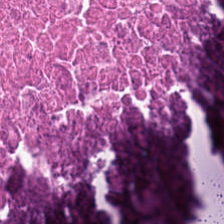Hematoxylin-and-eosin stained section. The tissue here is necrotic debris.
